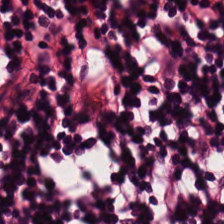Hematoxylin-and-eosin stained section. Showing lymphocytic infiltrate.
